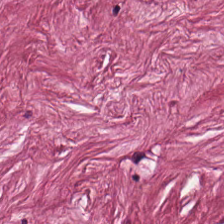Tissue = desmoplastic stroma.
